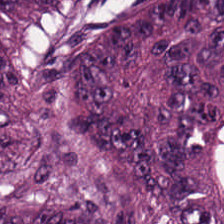Formalin-fixed paraffin-embedded section; hematoxylin and eosin.
Q: Classify this patch.
A: Colorectal adenocarcinoma.
